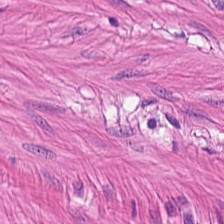Stain: H&E stain.
Predominant tissue: muscularis.
